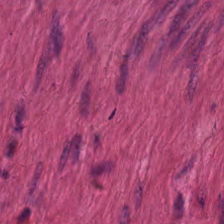Formalin-fixed paraffin-embedded section · brightfield microscopy · hematoxylin and eosin.
Showing muscularis.
